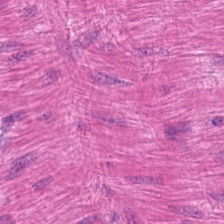Hematoxylin and eosin.
Q: What is the predominant tissue type?
A: It is muscularis.
